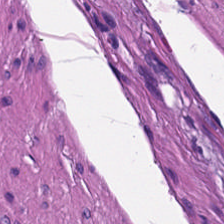Impression — muscularis.
